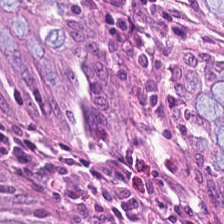H&E · 0.5 µm/px · FFPE. Showing normal colon mucosa.
